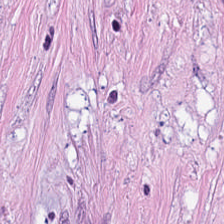224×224 pixel tile · brightfield microscopy · hematoxylin-and-eosin stained section.
The tissue type is tumor-associated stroma.
